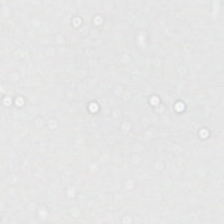Background — no tissue in this field.
